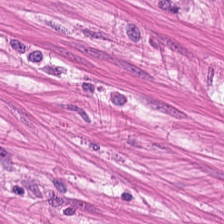H&E patch showing smooth muscle.
